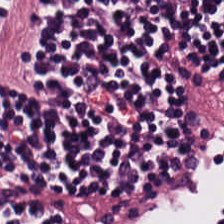H&E. Predominant tissue: lymphocytic infiltrate.
